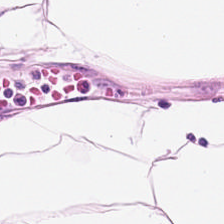Stain: H&E-stained tissue section.
Classification: adipose tissue.
